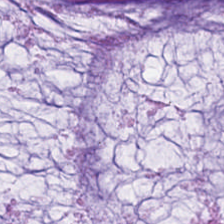H&E-stained tissue section. This field is extracellular mucin.
